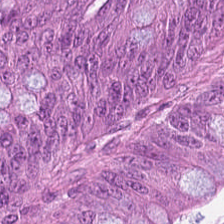Hematoxylin and eosin. {"tissue_type": "adenocarcinoma"}
